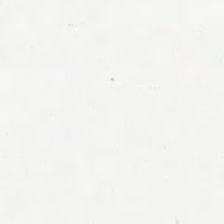Hematoxylin-and-eosin stained section; 0.5 µm per pixel; FFPE tissue section — Classification = no tissue.
